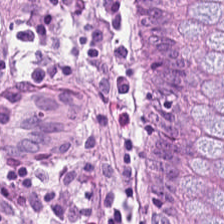Hematoxylin and eosin · 224×224 px patch · 0.5 µm/px. Showing non-neoplastic colon mucosa.
